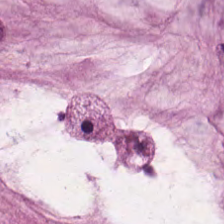Tissue = mucin.
